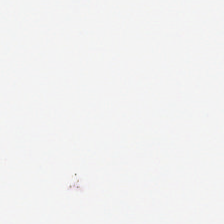Classification = empty background.
